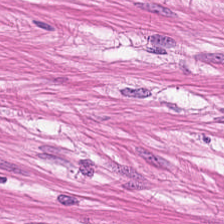H&E — {"tissue_type": "smooth muscle"}
